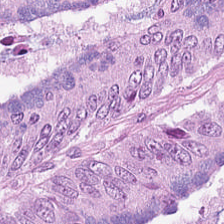WSI patch; hematoxylin-and-eosin stained section — Predominant tissue = colorectal adenocarcinoma epithelium.
